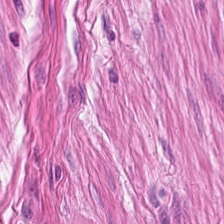Hematoxylin-and-eosin stained section — Finding → muscularis.
